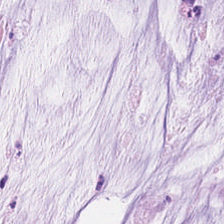Hematoxylin and eosin — Mucin.
